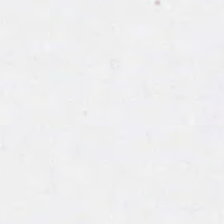Whole-slide-image patch; H&E stain. This field is background (no tissue).
